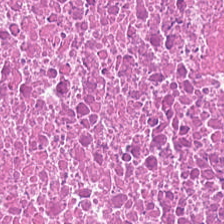Finding — debris.
